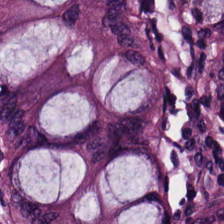H&E-stained tissue section. Tissue class — non-neoplastic colon mucosa.
